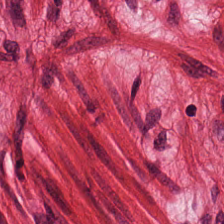H&E-stained tissue section.
The tissue here is muscularis.
